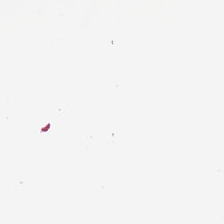Empty field — background.
